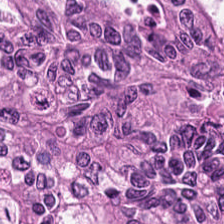H&E-stained tissue section.
Showing colorectal adenocarcinoma epithelium.
